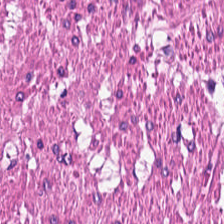0.5 microns per pixel; H&E-stained tissue section — The classification is smooth-muscle tissue.
